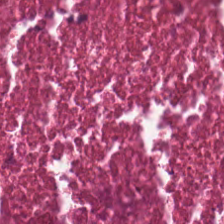Tissue class — cellular debris.
